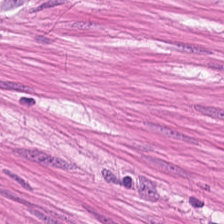H&E-stained tissue section — Impression → muscularis.
